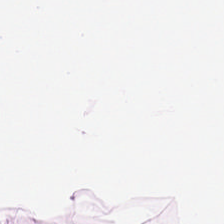H&E. 224×224 pixel tile. WSI patch — Predominantly adipose tissue.
